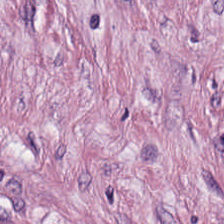Stain: H&E.
Acquisition: WSI patch.
Tissue: tumor-associated stroma.
